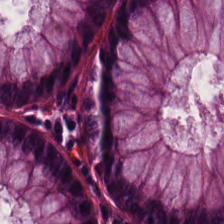0.5 µm/px · 224×224 px patch · hematoxylin and eosin — Q: What tissue type is shown here?
A: It is non-neoplastic colon mucosa.
